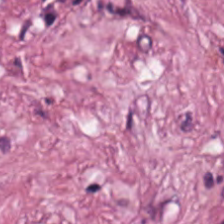H&E-stained tissue section.
Histology → tumor stroma.
